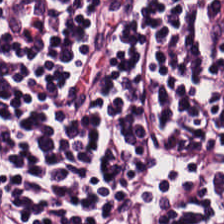0.5 µm per pixel · hematoxylin and eosin.
Impression → lymphocytes.
